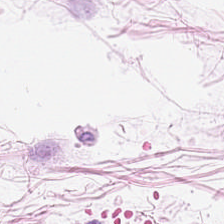Brightfield. Hematoxylin and eosin. The predominant tissue is adipose tissue.
